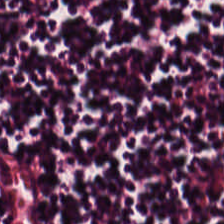Lymphocyte aggregate.
